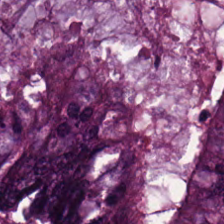Hematoxylin and eosin.
The predominant tissue is adenocarcinoma.
